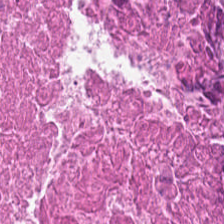The tissue class is necrotic debris.
